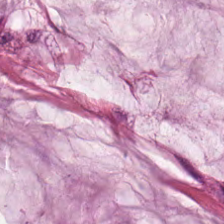Stain: H&E-stained tissue section.
Predominant tissue: mucin.
